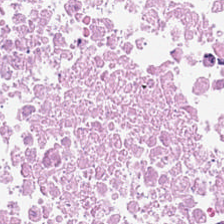H&E stain. Q: What is shown here?
A: The field shows cellular debris.
